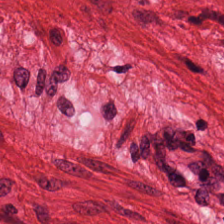Stain: H&E.
Tissue: muscularis.
